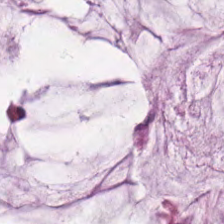H&E-stained tissue section · 0.5 µm/px · 224×224 px patch — Tissue class = extracellular mucin.
